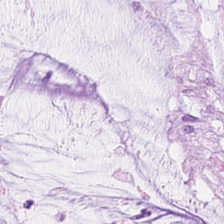H&E-stained tissue section.
Predominant tissue: extracellular mucin.
